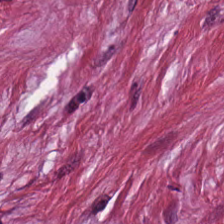H&E. Finding → cancer-associated stroma.
